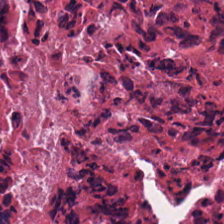Hematoxylin and eosin.
Tissue class = necrotic debris.
